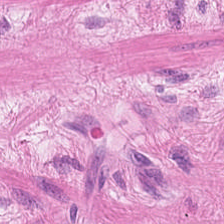H&E stain; brightfield — Classification — smooth muscle.
